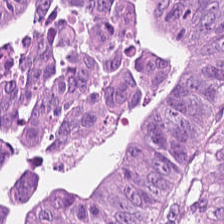Q: Classify this patch.
A: It is adenocarcinoma.
